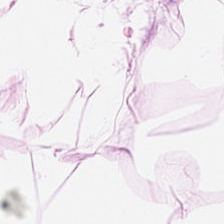H&E.
Q: Classify this patch.
A: This is adipocytes.
